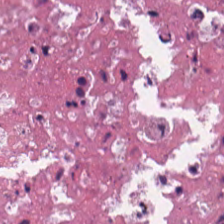H&E-stained section; the field shows cellular debris.
